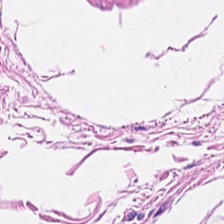Classification = smooth-muscle tissue.
